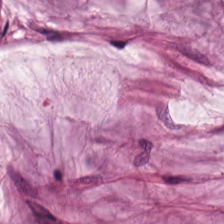H&E-stained tissue section — Showing extracellular mucin.
